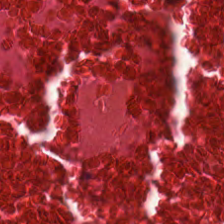0.5 µm/px · hematoxylin-and-eosin stained section.
This field is debris.
